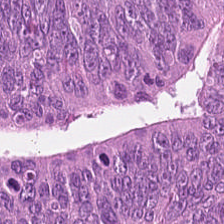Classification — adenocarcinoma.
